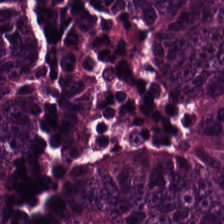Hematoxylin and eosin · formalin-fixed paraffin-embedded section.
The classification is adenocarcinoma.
